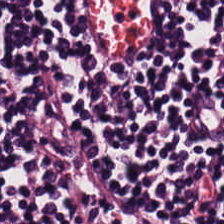Hematoxylin-and-eosin stained section. FFPE tissue section. The tissue is lymphocytes.
